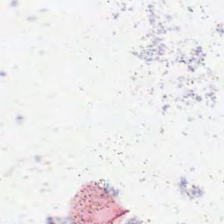224×224 px patch · FFPE tissue section · hematoxylin and eosin — No tissue present; background only.
